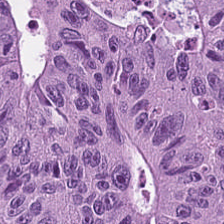224×224 px patch. FFPE. Hematoxylin and eosin.
The tissue here is malignant epithelium.
